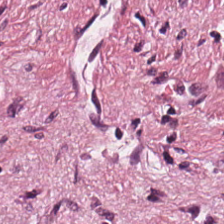Formalin-fixed paraffin-embedded section; 0.5 µm/px; H&E-stained tissue section — {"tissue_type": "tumor stroma"}
